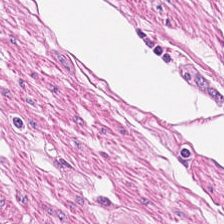Hematoxylin and eosin · 20× equivalent magnification — Impression — muscularis.
